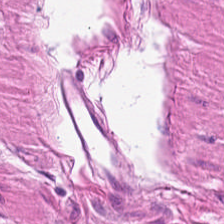H&E.
This patch shows smooth muscle.
